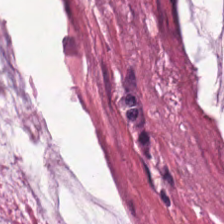H&E stain — Predominantly mucus.
